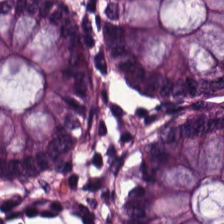H&E — {"tissue_type": "normal colon mucosa"}
